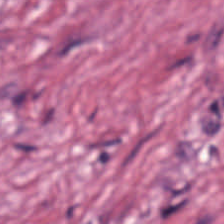Stain: H&E.
Tissue: tumor stroma.
